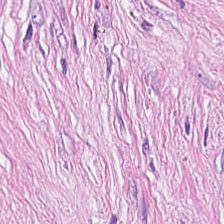Predominant tissue — cancer-associated stroma.
